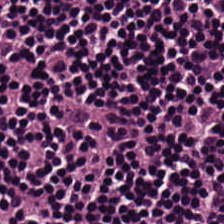H&E-stained section; the field shows lymphoid infiltrate.
